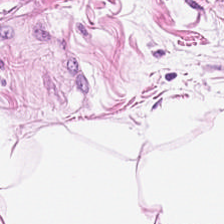Brightfield microscopy; 20× equivalent magnification; hematoxylin and eosin — This field is adipocytes.
